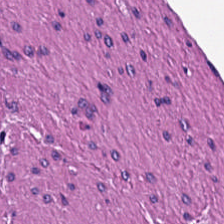H&E — Tissue type: smooth-muscle tissue.
